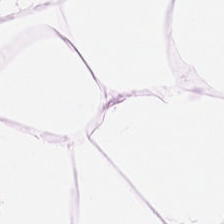H&E-stained tissue section — Tissue — fat tissue.
